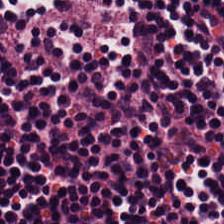H&E-stained section; the field shows lymphocyte aggregate.
